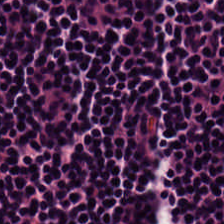224×224 px tile · hematoxylin-and-eosin stained section — Q: What type of tissue is this?
A: Lymphoid infiltrate.
